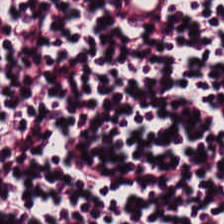H&E.
This field is lymphoid infiltrate.
